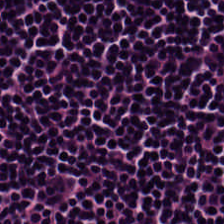Hematoxylin-and-eosin stained section.
Finding — lymphocytic infiltrate.
